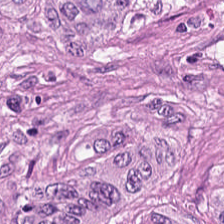Tissue type: adenocarcinoma.
